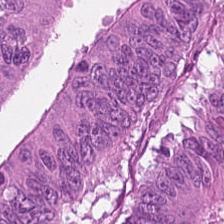Colorectal adenocarcinoma.
